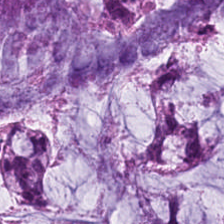H&E stain. Q: What does this patch show?
A: It is mucin.
